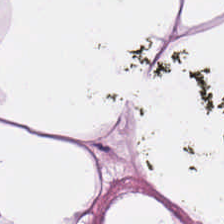H&E.
This patch shows adipose.
